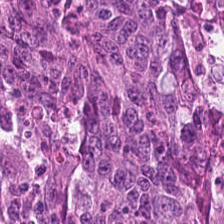Hematoxylin-and-eosin stained section. Impression → adenocarcinoma.
